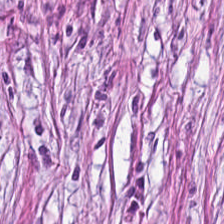H&E-stained tissue section. Q: What does this patch show?
A: The field shows desmoplastic stroma.
